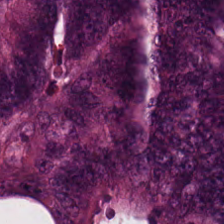Hematoxylin and eosin. Classification: adenocarcinoma.
